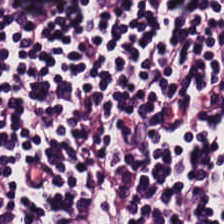{"tissue_type": "lymphocytic infiltrate"}
